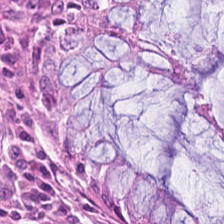H&E-stained tissue section. The predominant tissue is normal colonic mucosa.
